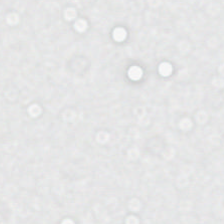The content is empty background.
